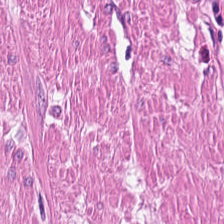H&E-stained tissue section.
Histology — smooth muscle.
